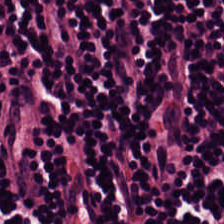Q: What tissue is shown?
A: Lymphoid infiltrate.
